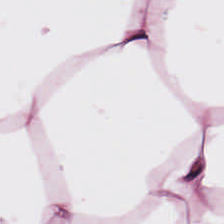Predominantly fat tissue.
